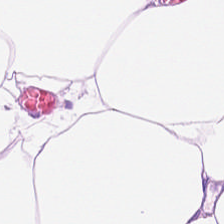This field is fat tissue.
